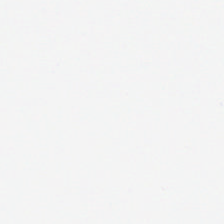Hematoxylin-and-eosin stained section · FFPE · 0.5 microns per pixel — Empty field — no tissue.
